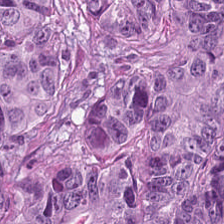The tissue here is adenocarcinoma.
